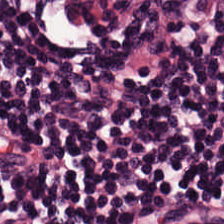0.5 µm per pixel. Hematoxylin and eosin. FFPE — Q: What type of tissue is this?
A: Lymphoid infiltrate.
